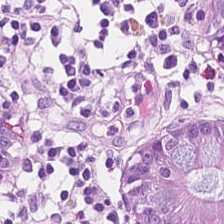224×224 pixel tile; H&E. This field is normal colonic mucosa.
